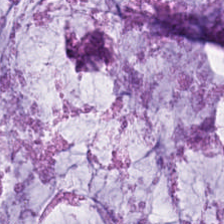H&E stain — Mucus.
